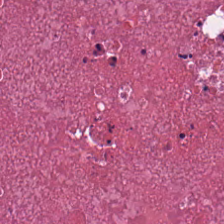H&E — debris.
